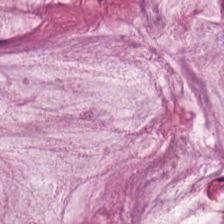H&E-stained tissue section showing extracellular mucin.
